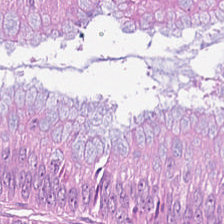H&E; 224×224 px tile; 0.5 µm/px — Q: What does this patch show?
A: This is colorectal adenocarcinoma.
